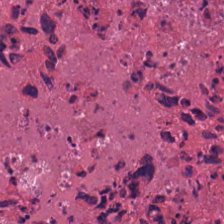Impression → debris.
